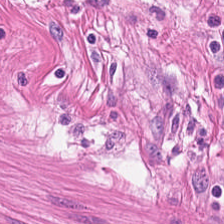Brightfield microscopy; hematoxylin and eosin — Predominantly smooth-muscle tissue.
